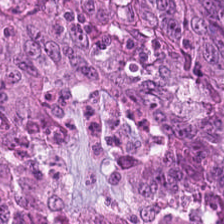H&E stain. This patch shows malignant epithelium.
